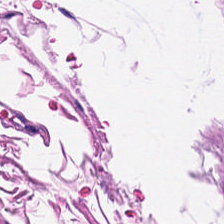H&E-stained tissue section — Predominantly muscularis.
